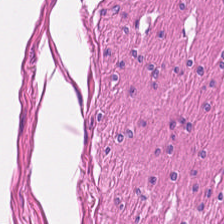Q: What is shown in this field?
A: Smooth muscle.
